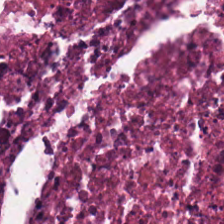Hematoxylin-and-eosin stained section.
{"tissue_type": "cellular debris"}
